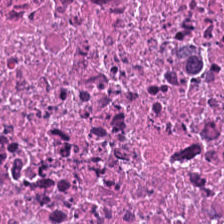The predominant tissue is debris.
